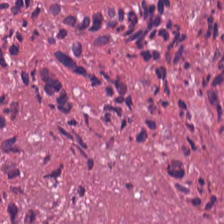Formalin-fixed paraffin-embedded section · hematoxylin and eosin. Tissue class = cellular debris.
